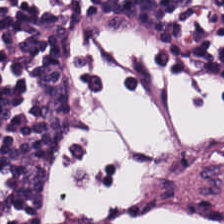Stain: H&E.
Tissue type: lymphocytic infiltrate.
